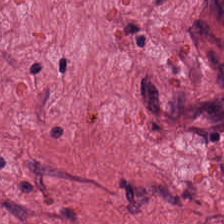0.5 µm/px · hematoxylin-and-eosin stained section.
Q: What is shown in this field?
A: This is cancer-associated stroma.
